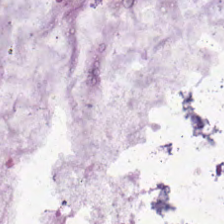Hematoxylin and eosin — Histology — mucin.
